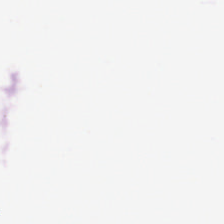Stain: H&E stain.
Classification: background (no tissue).
